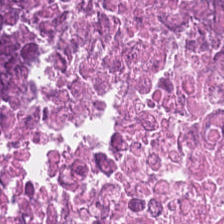Histology → debris.
